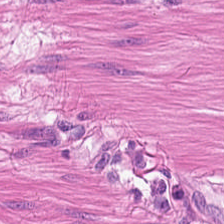Brightfield; hematoxylin and eosin; 0.5 µm per pixel.
Muscularis.
